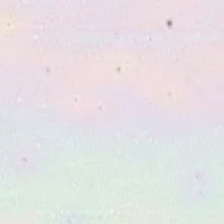No tissue present; background only.
